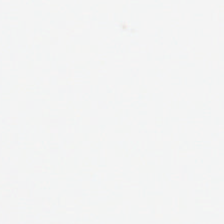Hematoxylin and eosin; FFPE.
Q: What does this patch show?
A: This is background (no tissue).
